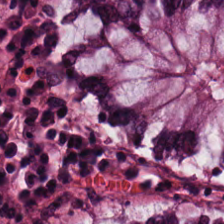0.5 microns per pixel · H&E-stained tissue section.
Q: What tissue type is shown here?
A: Normal colon mucosa.
